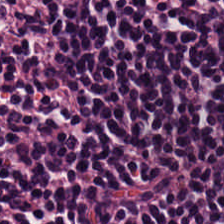Hematoxylin and eosin.
Tissue type = lymphocytic infiltrate.
